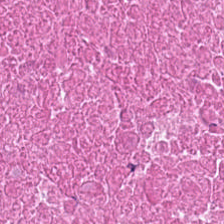H&E stain.
{"tissue_type": "debris"}
